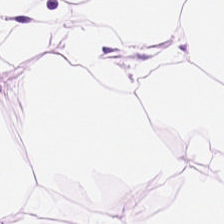Finding → adipocytes.
